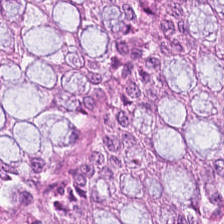0.5 µm/px. H&E stain — Q: What type of tissue is this?
A: The field shows benign colonic mucosa.
